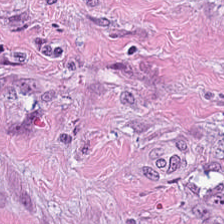H&E. Histology → tumor-associated stroma.
